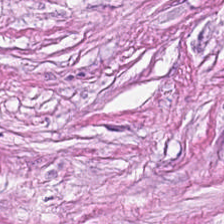Hematoxylin and eosin.
Q: What tissue is shown?
A: This is desmoplastic stroma.
